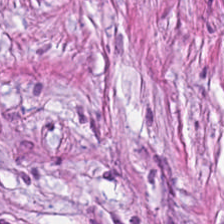H&E; brightfield microscopy — Q: What tissue is shown?
A: It is desmoplastic stroma.
